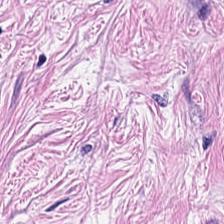H&E-stained section; the field shows cancer-associated stroma.
